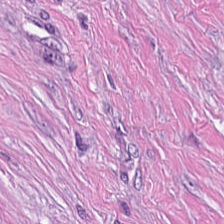H&E stain.
{"tissue_type": "cancer-associated stroma"}
